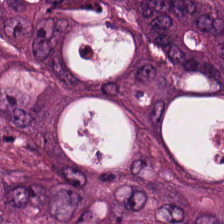H&E stain.
The predominant tissue is adenocarcinoma.
